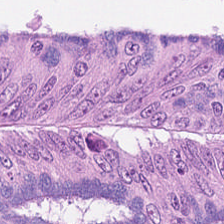Hematoxylin-and-eosin section: colorectal adenocarcinoma.
